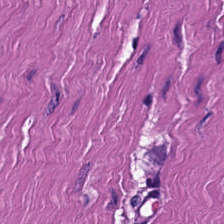Hematoxylin-and-eosin stained section — Histology → smooth muscle.
